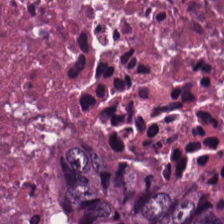H&E stain — Tissue — necrotic debris.
